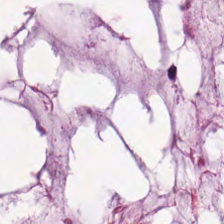0.5 µm per pixel · FFPE tissue section · H&E. Tissue type: extracellular mucin.
